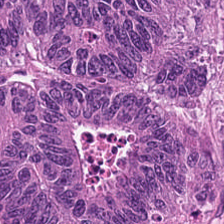H&E stain · 0.5 µm per pixel — {"tissue_type": "colorectal adenocarcinoma epithelium"}
